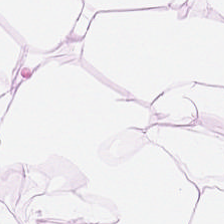This patch shows adipose tissue.
